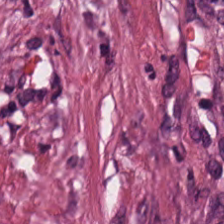H&E stain.
Impression — tumor-associated stroma.
